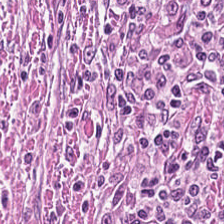0.5 microns per pixel. H&E-stained tissue section.
Q: What tissue is shown?
A: It is cancer-associated stroma.
